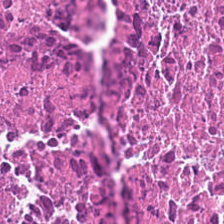Tissue type: necrotic debris.
